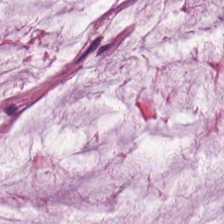H&E-stained tissue section.
Q: What type of tissue is this?
A: This is extracellular mucin.
